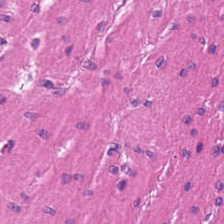224×224 px tile · H&E — The tissue class is smooth muscle.
